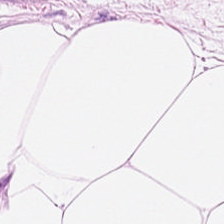H&E.
Predominant tissue — adipose.
